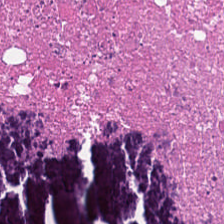Histology → debris.
